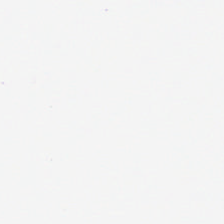Stain: H&E-stained tissue section.
Content: background.
